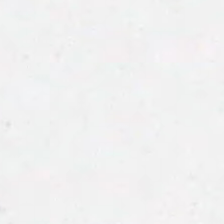224×224 px tile · brightfield microscopy · hematoxylin-and-eosin stained section — Histology — background.
